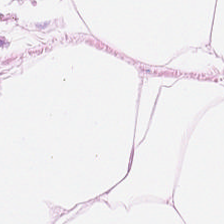H&E-stained tissue section. 224×224 px tile — The tissue is adipose tissue.
